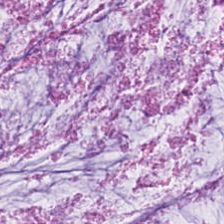FFPE. H&E stain. Tissue class — extracellular mucin.
